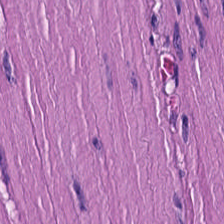Q: What does this patch show?
A: Smooth-muscle tissue.
